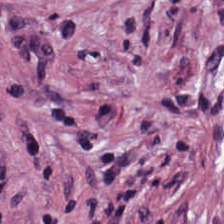224×224 px patch; H&E-stained tissue section.
The tissue class is desmoplastic stroma.
